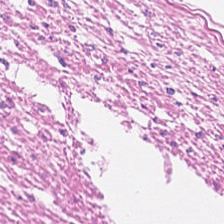H&E. Brightfield.
Tissue — smooth muscle.
